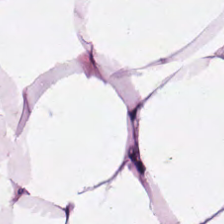H&E. Q: What is the predominant tissue type?
A: It is fat tissue.
